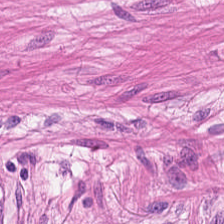Stain: hematoxylin and eosin.
Preparation: FFPE tissue section.
Acquisition: brightfield microscopy.
Predominant tissue: smooth muscle.
